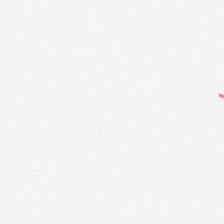FFPE. H&E. This patch shows no tissue.
